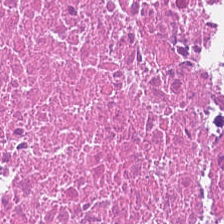Predominantly cellular debris.
